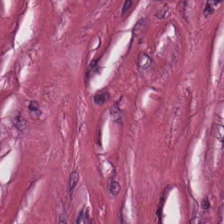H&E-stained tissue section. 224×224 px tile. WSI patch.
The tissue here is cancer-associated stroma.
